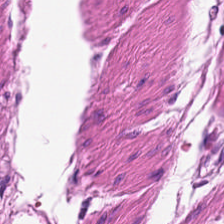H&E · FFPE. Predominantly muscularis.
